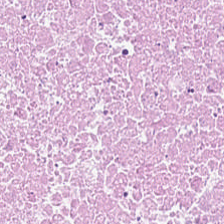224×224 pixel tile. H&E-stained tissue section. FFPE.
Finding → necrotic debris.
